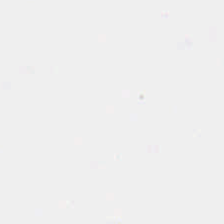Stain: H&E.
Resolution: 0.5 µm per pixel.
Preparation: FFPE tissue section.
Field content: background (no tissue).
